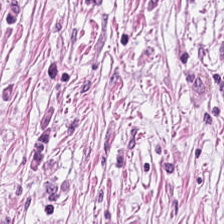H&E-stained tissue section — Tumor stroma.
